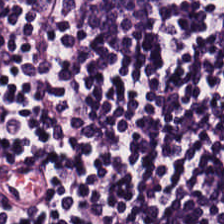Impression — lymphocyte aggregate.
